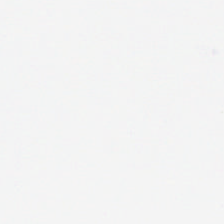H&E-stained tissue section.
Background — no tissue in this field.
